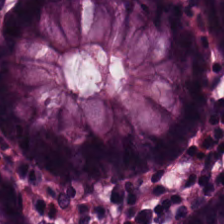224×224 px tile. FFPE. H&E stain. This patch shows normal colon mucosa.
